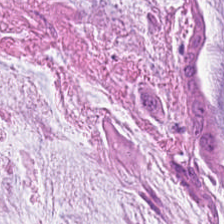Hematoxylin and eosin.
{"tissue_type": "mucus"}
